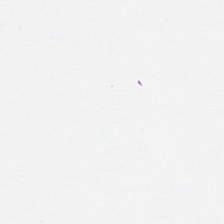224×224 px patch. Hematoxylin-and-eosin stained section — This patch shows empty background.
